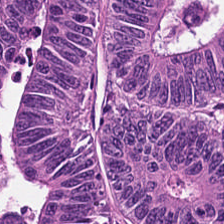H&E-stained tissue section — This patch shows colorectal adenocarcinoma.
